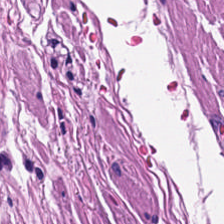Predominant tissue: smooth muscle.
